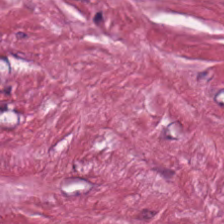H&E — tumor-associated stroma.
